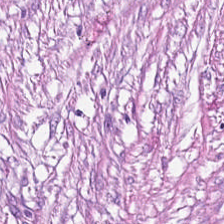Formalin-fixed paraffin-embedded section; H&E-stained tissue section. Finding → cancer-associated stroma.
